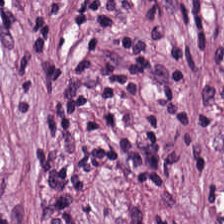Hematoxylin-and-eosin stained section — Histology → cancer-associated stroma.
